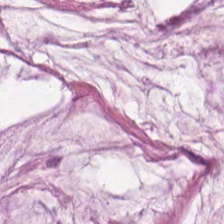Q: What is the predominant tissue type?
A: This is mucus.
